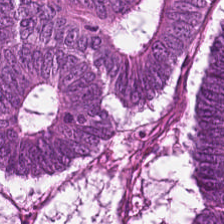Tissue type — malignant epithelium.
